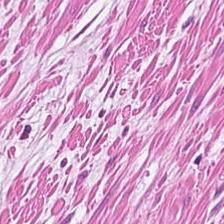Stain: H&E.
Predominant tissue: smooth-muscle tissue.
